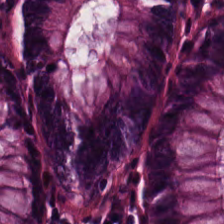Q: What is the predominant tissue type?
A: It is benign colonic mucosa.
